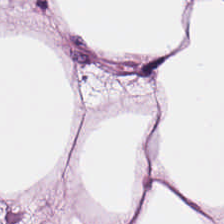Stain: hematoxylin and eosin.
Tissue type: adipose tissue.
